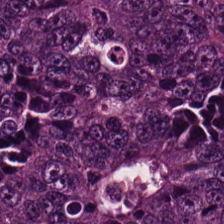224×224 px tile; hematoxylin-and-eosin stained section; 20× equivalent magnification — Tissue class: colorectal adenocarcinoma epithelium.
